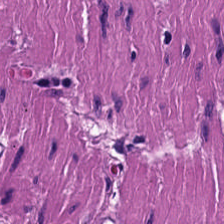224×224 pixel tile · hematoxylin-and-eosin stained section · 0.5 µm/px.
Q: What tissue is shown?
A: The field shows smooth muscle.
